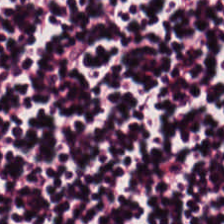Hematoxylin and eosin.
The tissue is lymphocytic infiltrate.
